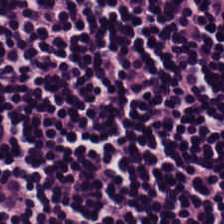Stain: hematoxylin and eosin.
Resolution: 0.5 µm/px.
Tissue: lymphocytes.
